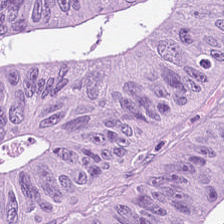H&E-stained section; the field shows colorectal adenocarcinoma epithelium.
